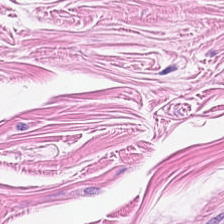Hematoxylin and eosin · 0.5 µm/px · brightfield — Finding — smooth-muscle tissue.
